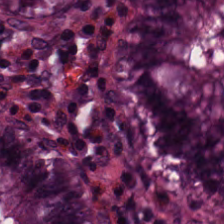H&E-stained tissue section — Finding — normal colon mucosa.
